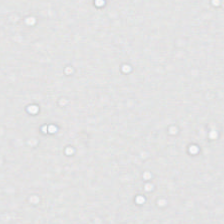224×224 px tile. Hematoxylin-and-eosin stained section — The field content is background (no tissue).
